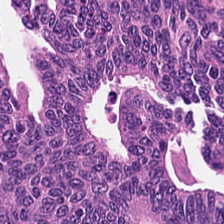H&E. This field is tumor epithelium.
